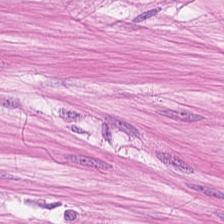H&E stain · brightfield microscopy. Q: What is shown in this field?
A: The field shows muscularis.
